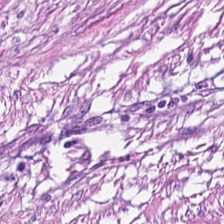Stain: H&E-stained tissue section.
Tissue class: tumor-associated stroma.
